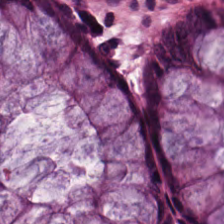FFPE tissue section; H&E-stained tissue section.
The tissue here is normal colon mucosa.
